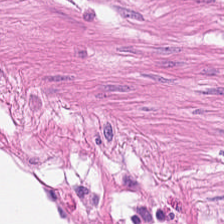H&E stain; 0.5 microns per pixel; FFPE tissue section.
Showing smooth-muscle tissue.
